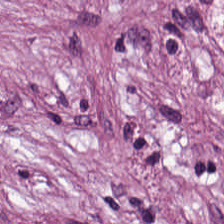H&E stain — The tissue here is tumor stroma.
